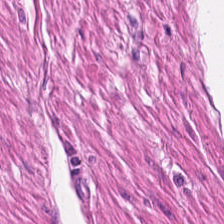H&E-stained tissue section. 224×224 pixel tile. 0.5 µm/px. Tissue type: smooth muscle.
